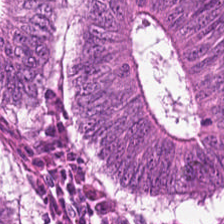Stain: H&E.
Tissue: colorectal adenocarcinoma.
